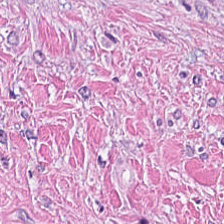H&E stain. {"tissue_type": "tumor-associated stroma"}
